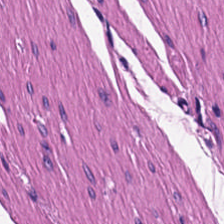H&E — The tissue here is muscularis.
